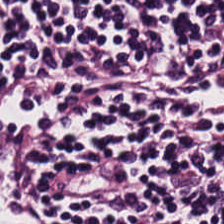H&E stain. Impression — lymphocyte aggregate.
